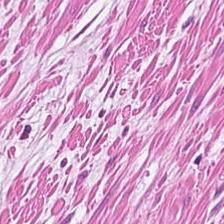H&E · FFPE · 224×224 pixel tile. The tissue here is muscularis.
